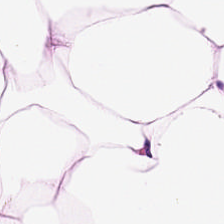Stain: hematoxylin and eosin.
Tissue class: fat tissue.
